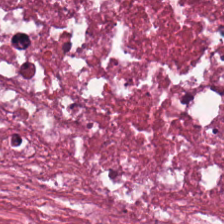Stain: H&E stain.
Tile size: 224×224 pixel tile.
Resolution: 0.5 microns per pixel.
Tissue type: necrotic debris.
